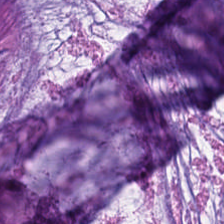Hematoxylin and eosin.
Classification = extracellular mucin.
